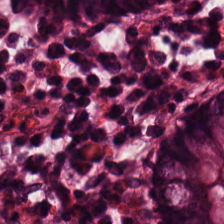H&E stain; FFPE — The tissue here is non-neoplastic colon mucosa.
